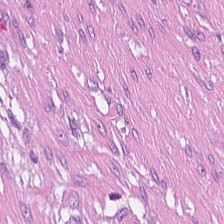Stain: H&E.
Acquisition: brightfield.
Tissue class: tumor stroma.
